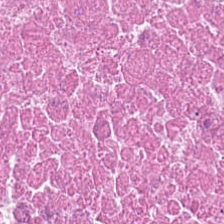H&E — The classification is debris.
